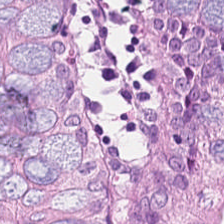H&E stain · WSI patch. Tissue = non-neoplastic colon mucosa.
